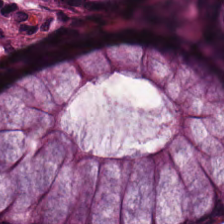Stain: hematoxylin and eosin.
Preparation: FFPE.
Tile size: 224×224 px tile.
Classification: normal colonic mucosa.
